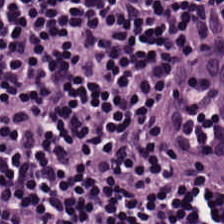H&E stain. Q: What is shown here?
A: It is lymphoid infiltrate.
